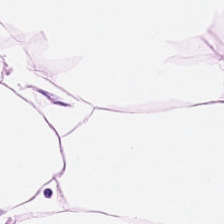Hematoxylin and eosin — This field is fat tissue.
